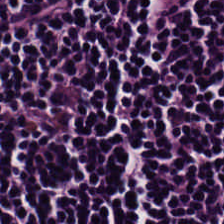WSI patch · hematoxylin-and-eosin stained section. Q: Classify this patch.
A: It is lymphocyte aggregate.
